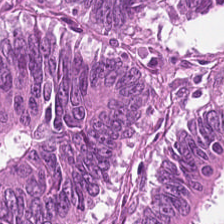224×224 px patch. H&E stain.
{"tissue_type": "adenocarcinoma"}
